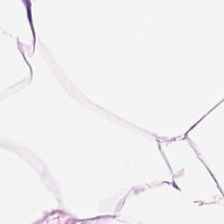Stain: H&E stain.
Acquisition: whole-slide-image patch.
Tile size: 224×224 px tile.
Tissue class: adipocytes.
